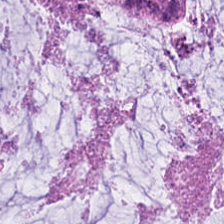H&E. The predominant tissue is extracellular mucin.
